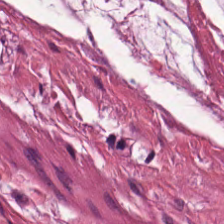This field is mucus.
